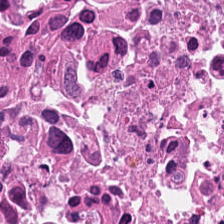Stain: H&E.
Classification: debris.
